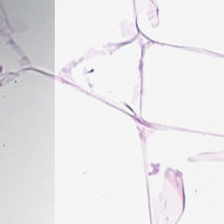H&E-stained tissue section. Tissue type = adipose.
